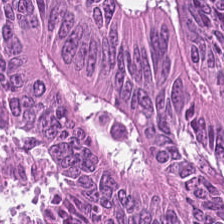H&E — Tumor epithelium.
